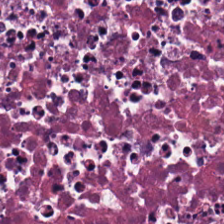20× equivalent magnification · hematoxylin-and-eosin stained section · 224×224 pixel tile.
Predominant tissue — debris.
